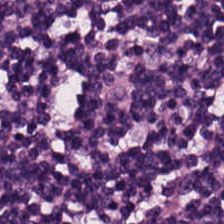Impression — lymphocyte aggregate.
